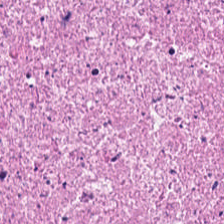Formalin-fixed paraffin-embedded section · hematoxylin and eosin · 224×224 pixel tile. The tissue class is necrotic debris.
